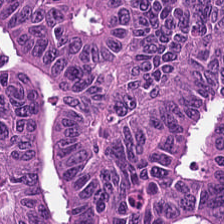FFPE tissue section. H&E.
Tissue — adenocarcinoma.
